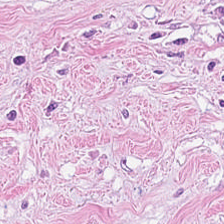Stain: hematoxylin and eosin.
Classification: cancer-associated stroma.
